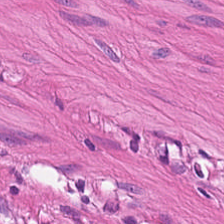0.5 µm/px. H&E. Q: What tissue type is shown here?
A: Smooth muscle.
